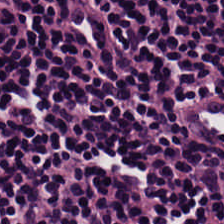Q: What type of tissue is this?
A: This is lymphoid infiltrate.
